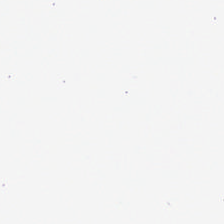Hematoxylin-and-eosin stained section · brightfield · 224×224 pixel tile — This field is background (no tissue).
